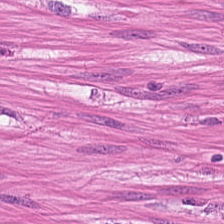Tissue type: muscularis.
